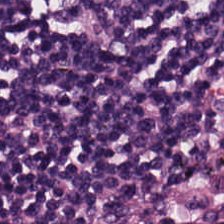H&E-stained tissue section.
Tissue = lymphocytic infiltrate.
